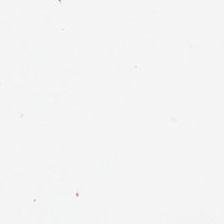No tissue present; background only.
